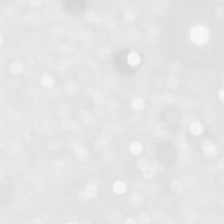The content is empty background.
